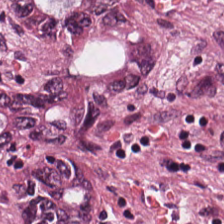Stain: hematoxylin-and-eosin stained section.
Acquisition: whole-slide-image patch.
Tissue class: colorectal adenocarcinoma.
